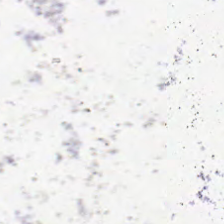Stain: hematoxylin-and-eosin stained section.
Content: empty background.
